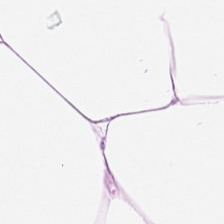WSI patch; H&E stain. Tissue class = adipose.
